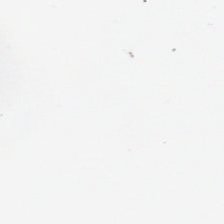This patch shows no tissue.
